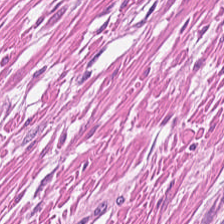Q: What tissue type is shown here?
A: Smooth-muscle tissue.
